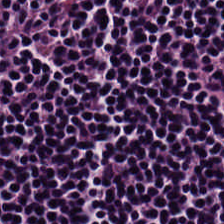Hematoxylin and eosin; 224×224 px patch; brightfield — The tissue class is lymphocyte aggregate.
